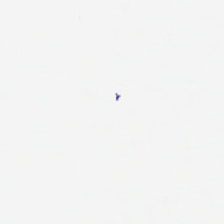Stain: H&E.
Resolution: 0.5 µm/px.
Content: background.
